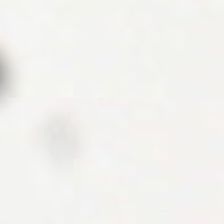H&E-stained tissue section; FFPE tissue section; 0.5 µm per pixel. Content = empty background.
